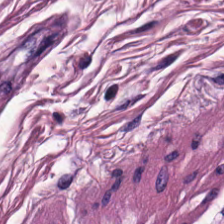Brightfield. Hematoxylin-and-eosin stained section. 224×224 pixel tile — Q: What tissue type is shown here?
A: This is muscularis.
